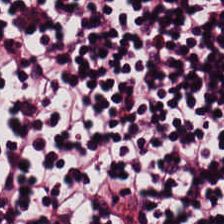H&E-stained tissue section. Q: What is the predominant tissue type?
A: The field shows lymphoid infiltrate.
